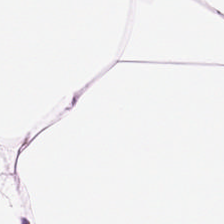H&E stain — The tissue here is adipose.
